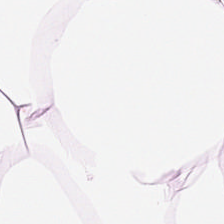Stain: hematoxylin-and-eosin stained section.
Acquisition: WSI patch.
Tissue: adipose.
